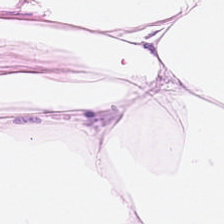224×224 px tile · H&E — Showing adipocytes.
